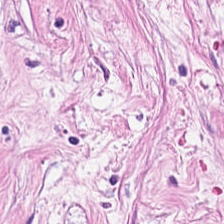H&E stain · FFPE tissue section.
The predominant tissue is cancer-associated stroma.
